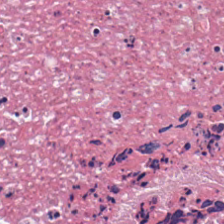0.5 microns per pixel · hematoxylin-and-eosin stained section.
{"tissue_type": "debris"}
